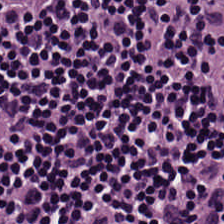Hematoxylin-and-eosin stained section. Q: What is shown here?
A: The field shows lymphocyte aggregate.
